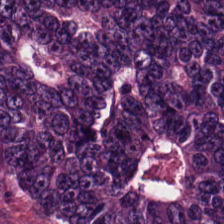Stain: H&E stain.
Preparation: FFPE tissue section.
Tissue: colorectal adenocarcinoma.
